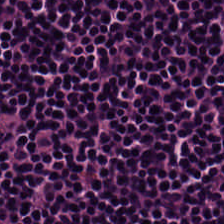The tissue class is lymphocytes.
